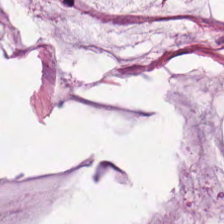0.5 µm per pixel · H&E-stained tissue section.
The tissue here is extracellular mucin.
